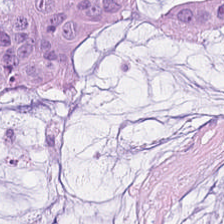Hematoxylin-and-eosin stained section.
Showing mucin.
